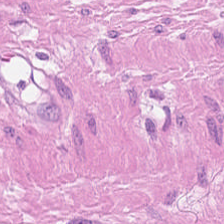FFPE; hematoxylin and eosin; 224×224 px tile.
Predominant tissue — smooth muscle.
